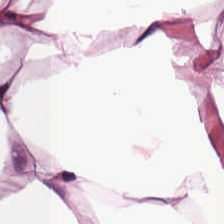H&E-stained tissue section. The tissue class is adipose tissue.
